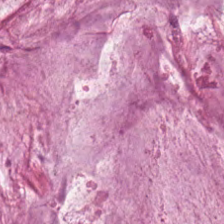Hematoxylin-and-eosin stained section; WSI patch.
The tissue is extracellular mucin.
